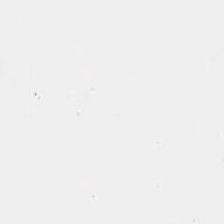H&E stain — Content — background.
